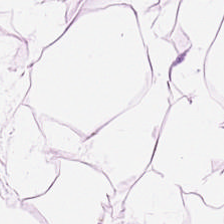H&E patch showing adipose.
